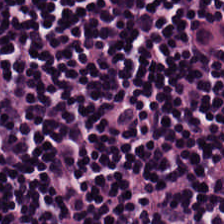Predominant tissue: lymphocytes.
